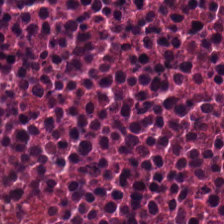H&E. {"tissue_type": "cellular debris"}
